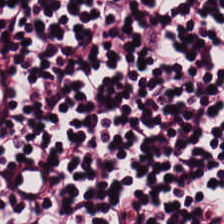FFPE tissue section. 0.5 µm per pixel. H&E-stained tissue section — The predominant tissue is lymphocytes.
